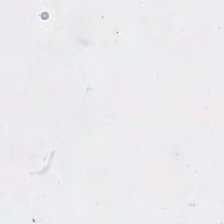224×224 pixel tile. H&E — Background — no tissue in this field.
